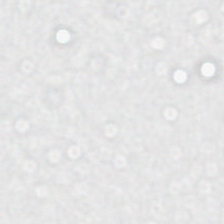Stain: H&E stain.
Content: no tissue.
